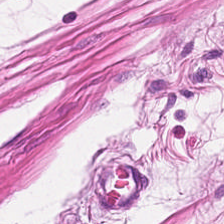WSI patch. H&E-stained tissue section. 0.5 µm/px. This patch shows smooth muscle.
